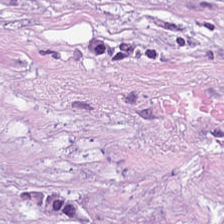0.5 µm per pixel; hematoxylin-and-eosin stained section — Q: Classify this patch.
A: This is cancer-associated stroma.
